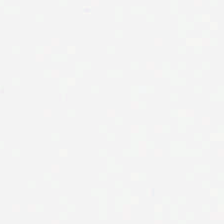Hematoxylin and eosin.
Classification = empty background.
